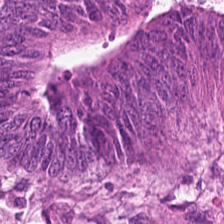FFPE tissue section; hematoxylin-and-eosin stained section.
Impression — adenocarcinoma.
